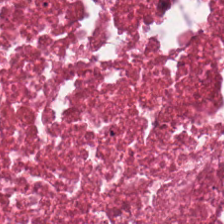Hematoxylin and eosin. FFPE tissue section — Tissue = necrotic debris.
